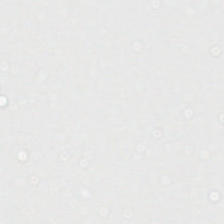Content = background (no tissue).
